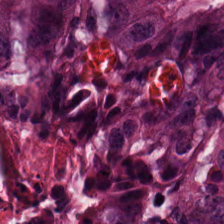Hematoxylin and eosin; brightfield microscopy.
{"tissue_type": "malignant epithelium"}
